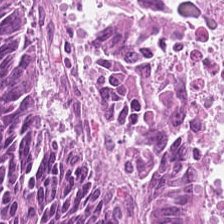H&E stain. {"tissue_type": "malignant epithelium"}
